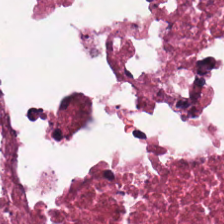Q: What is shown here?
A: Cellular debris.
